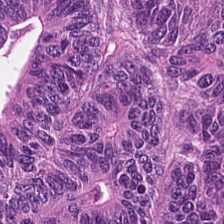Tissue = malignant epithelium.
